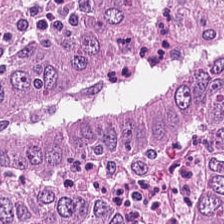Hematoxylin-and-eosin stained section.
Tissue class: colorectal adenocarcinoma.
